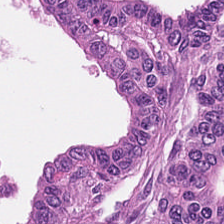H&E-stained tissue section. 224×224 px tile. WSI patch — Classification = colorectal adenocarcinoma epithelium.
